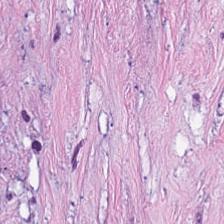Brightfield · hematoxylin and eosin · 0.5 µm/px.
Showing tumor-associated stroma.
